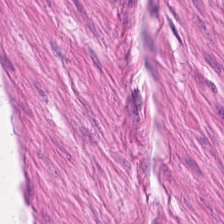224×224 px tile · hematoxylin-and-eosin stained section.
Predominant tissue — smooth-muscle tissue.
